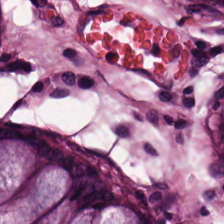Predominantly normal colonic mucosa.
